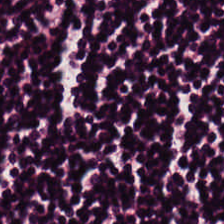H&E; 224×224 pixel tile — Tissue class = lymphocytes.
